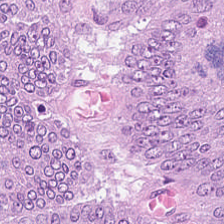H&E stain.
This patch shows colorectal adenocarcinoma epithelium.
